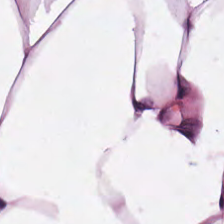Q: What is the predominant tissue type?
A: The field shows fat tissue.
